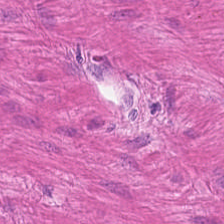The classification is smooth muscle.
